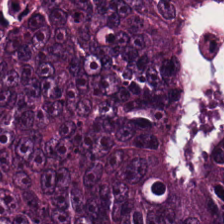H&E · 20× equivalent magnification · formalin-fixed paraffin-embedded section.
Q: What does this patch show?
A: Malignant epithelium.
